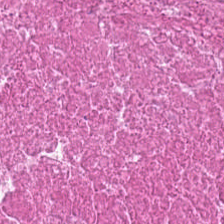H&E stain. 0.5 µm per pixel. FFPE.
This field is debris.
